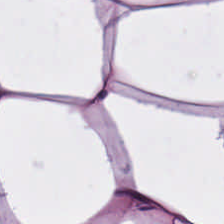Hematoxylin and eosin. The predominant tissue is adipose.
